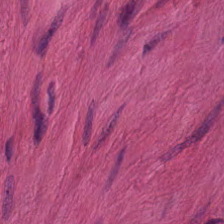Stain: H&E.
Tissue class: muscularis.
